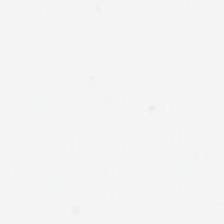FFPE tissue section. Hematoxylin and eosin.
Histology → background (no tissue).
